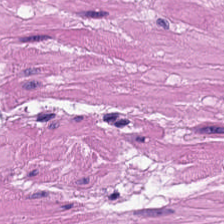Hematoxylin and eosin; 224×224 px patch — Impression → muscularis.
